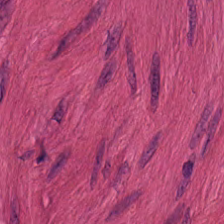H&E — Q: Classify this patch.
A: This is muscularis.
